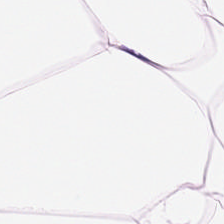Formalin-fixed paraffin-embedded section; H&E. The tissue is fat tissue.
